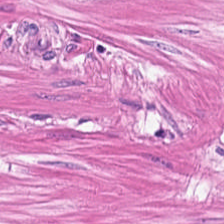Histology — muscularis.
